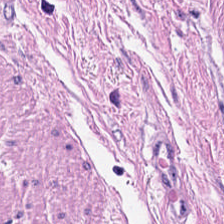Stain: hematoxylin and eosin.
Tissue type: muscularis.
